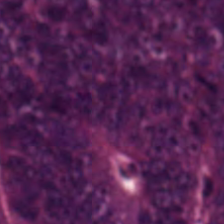Hematoxylin-and-eosin stained section · 224×224 px tile · whole-slide-image patch.
The tissue class is colorectal adenocarcinoma epithelium.
